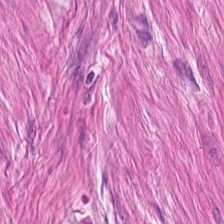H&E-stained tissue section — Q: What is shown in this field?
A: Smooth-muscle tissue.
